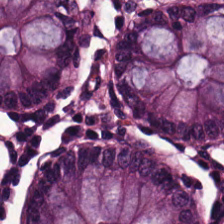The tissue class is benign colonic mucosa.
